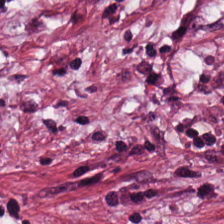Q: What is the predominant tissue type?
A: The field shows tumor stroma.
